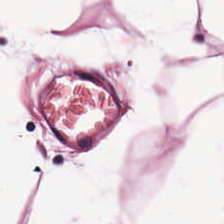Predominantly adipocytes.
